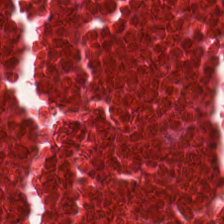224×224 px tile · FFPE tissue section · H&E.
Q: What is the predominant tissue type?
A: It is necrotic debris.
